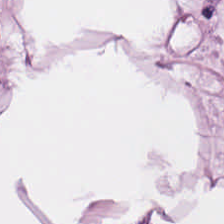Hematoxylin and eosin. 224×224 pixel tile — Q: What is shown in this field?
A: This is adipose.
